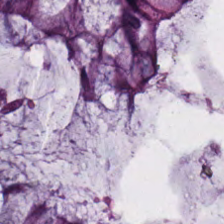0.5 µm/px. FFPE. Hematoxylin-and-eosin stained section. Classification = normal colon mucosa.
